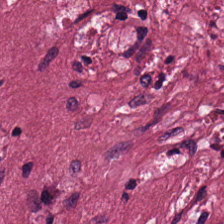0.5 µm/px · formalin-fixed paraffin-embedded section · H&E stain.
Q: Identify the tissue.
A: Tumor-associated stroma.
